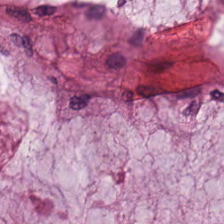224×224 pixel tile; hematoxylin-and-eosin stained section.
The predominant tissue is mucin.
